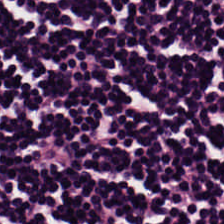H&E stain · WSI patch · 0.5 microns per pixel.
This patch shows lymphoid infiltrate.
